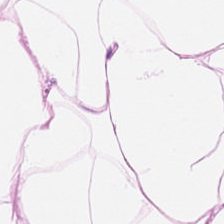Hematoxylin and eosin; FFPE tissue section.
This patch shows adipose tissue.
